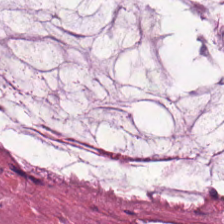H&E · brightfield — The predominant tissue is extracellular mucin.
